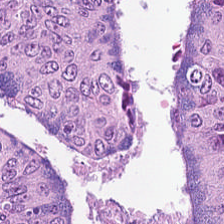H&E-stained tissue section. FFPE tissue section — The tissue here is malignant epithelium.
